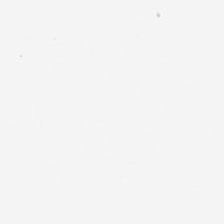H&E-stained tissue section — Empty field — no tissue.
